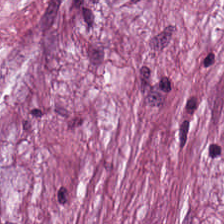Brightfield. H&E — Q: Classify this patch.
A: It is tumor-associated stroma.
